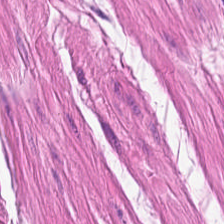FFPE tissue section. Hematoxylin-and-eosin stained section. 0.5 µm per pixel. Q: What tissue is shown?
A: This is muscularis.
